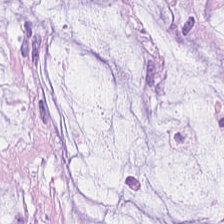Q: What is shown in this field?
A: It is mucin.
